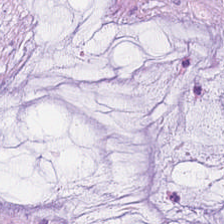H&E-stained tissue section — Classification: mucus.
